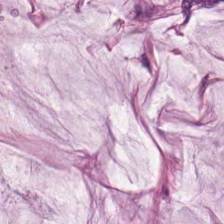Stain: H&E stain.
Predominant tissue: extracellular mucin.
